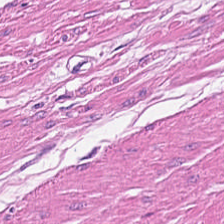Formalin-fixed paraffin-embedded section · hematoxylin and eosin · 224×224 px patch. Tissue class = smooth muscle.
